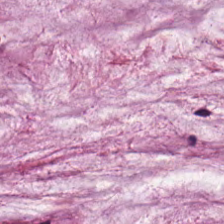224×224 px tile · H&E-stained tissue section — The classification is mucus.
